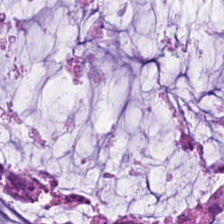H&E stain. WSI patch.
The tissue here is mucin.
